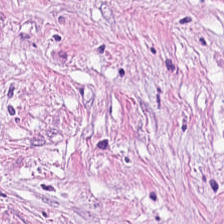H&E stain; 224×224 px tile.
Finding → tumor stroma.
